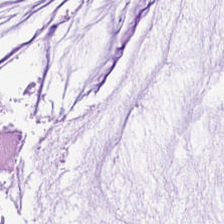Tissue type — mucus.
